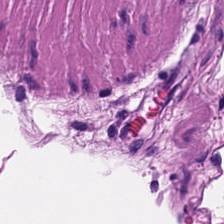Stain: H&E stain.
Tissue class: muscularis.
